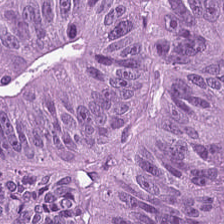Stain: H&E-stained tissue section.
Tissue: colorectal adenocarcinoma.
